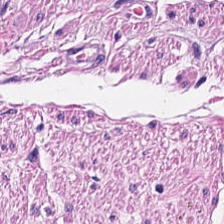H&E patch showing muscularis.
